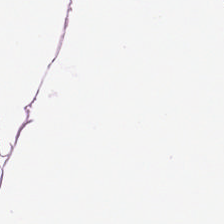0.5 µm per pixel · FFPE · H&E stain — The classification is adipocytes.
